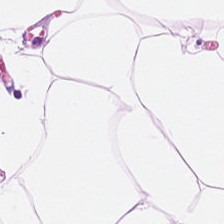H&E. The tissue here is adipocytes.
